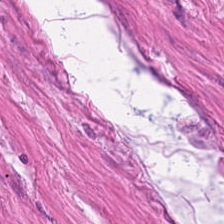H&E-stained tissue section; WSI patch. Q: What tissue type is shown here?
A: The field shows smooth muscle.
